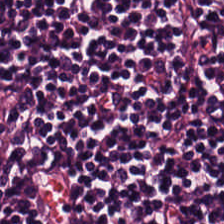H&E-stained tissue section.
This patch shows lymphoid infiltrate.
